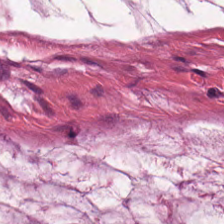0.5 µm per pixel; hematoxylin and eosin; formalin-fixed paraffin-embedded section — This patch shows extracellular mucin.
